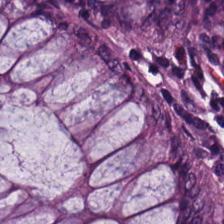Hematoxylin and eosin.
Predominantly normal colonic mucosa.
